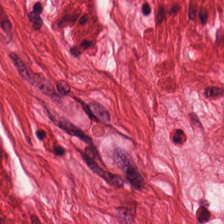Q: Identify the tissue.
A: It is smooth muscle.
